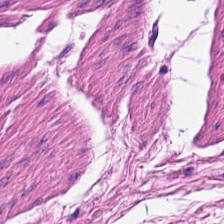Stain: H&E stain.
Acquisition: whole-slide-image patch.
Tissue class: smooth-muscle tissue.
